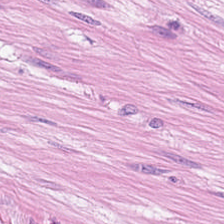H&E — Showing smooth muscle.
